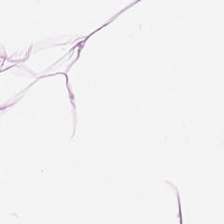Hematoxylin and eosin; formalin-fixed paraffin-embedded section; 224×224 px patch. Predominant tissue — adipocytes.
